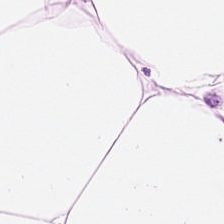Hematoxylin and eosin.
Finding — adipose tissue.
